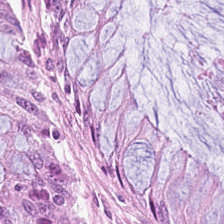H&E — normal colon mucosa.
